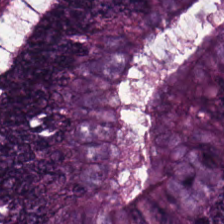Hematoxylin-and-eosin stained section.
Q: Identify the tissue.
A: The field shows adenocarcinoma.
